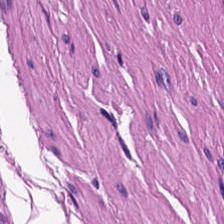Hematoxylin-and-eosin stained section · 224×224 px tile — The predominant tissue is muscularis.
